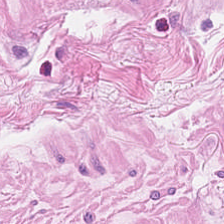Hematoxylin-and-eosin stained section.
Predominant tissue = muscularis.
